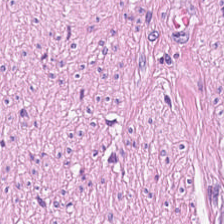Hematoxylin-and-eosin stained section.
This patch shows smooth-muscle tissue.
